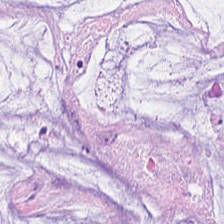Finding — extracellular mucin.
